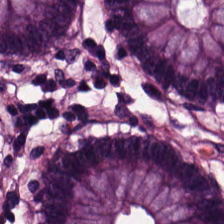WSI patch · hematoxylin-and-eosin stained section. Predominantly benign colonic mucosa.
